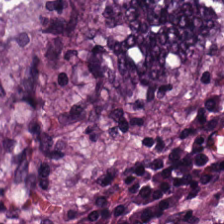Tissue type = malignant epithelium.
